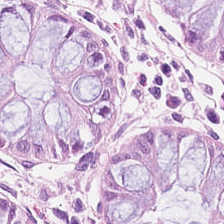Histology — benign colonic mucosa.
